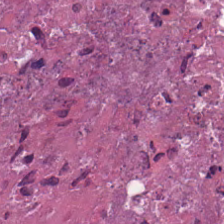Stain: hematoxylin-and-eosin stained section.
Tissue class: cellular debris.
